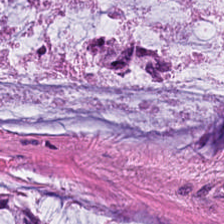H&E-stained tissue section showing mucus.
